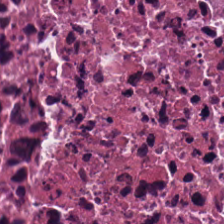Showing cellular debris.
